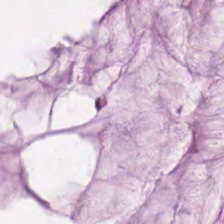H&E-stained tissue section. Predominant tissue: extracellular mucin.
